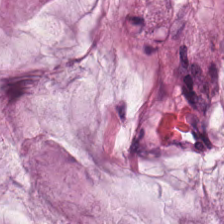H&E-stained tissue section showing mucus.
